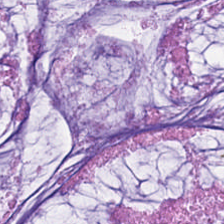FFPE; 224×224 pixel tile; hematoxylin-and-eosin stained section — This field is extracellular mucin.
